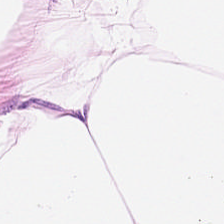Finding — adipose.
